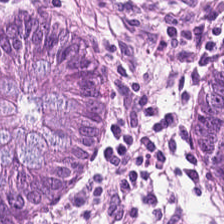H&E stain. Q: What does this patch show?
A: The field shows normal colon mucosa.
